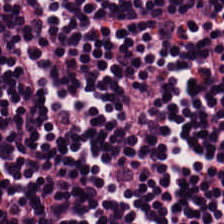Tissue type: lymphocytes.
